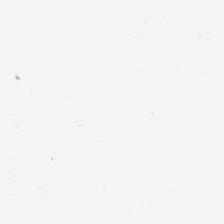H&E.
No tissue present; background only.
